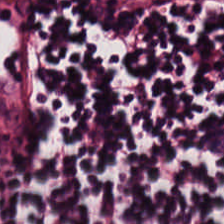224×224 px patch; H&E-stained tissue section. This field is lymphocyte aggregate.
